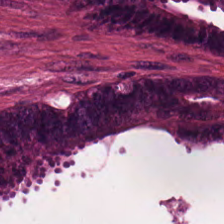H&E stain. Q: What is the predominant tissue type?
A: Colorectal adenocarcinoma epithelium.
